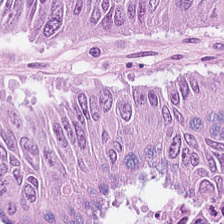224×224 px tile; formalin-fixed paraffin-embedded section; hematoxylin and eosin — Impression — tumor epithelium.
